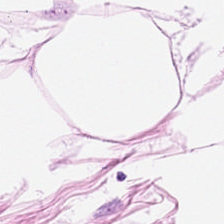WSI patch. Hematoxylin-and-eosin stained section. This field is adipose tissue.
